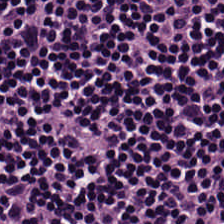H&E-stained tissue section; formalin-fixed paraffin-embedded section; 0.5 µm per pixel — Histology → lymphocyte aggregate.
